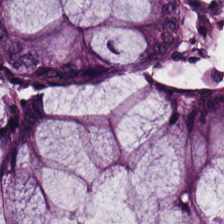0.5 µm/px. 224×224 px patch. Hematoxylin and eosin. Classification — normal colon mucosa.
